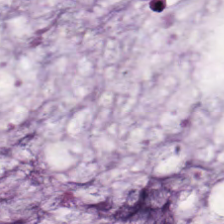Whole-slide-image patch; H&E-stained tissue section — Predominantly mucus.
